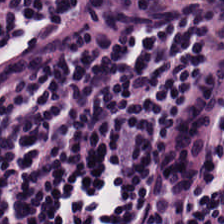H&E-stained tissue section — The predominant tissue is lymphocytes.
